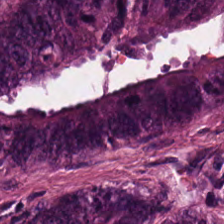H&E stain. Tissue class — adenocarcinoma.
